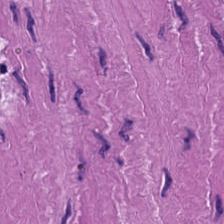Hematoxylin and eosin — Q: What is shown here?
A: It is muscularis.
